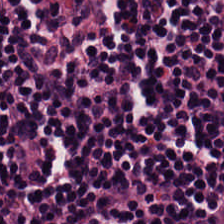H&E stain; 0.5 microns per pixel — Q: What tissue is shown?
A: It is lymphocytes.
